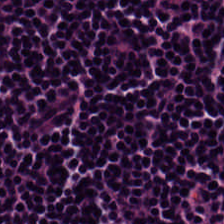Stain: hematoxylin-and-eosin stained section.
Classification: lymphocytic infiltrate.
